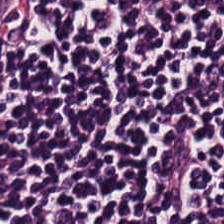0.5 µm/px; WSI patch; H&E — Tissue = lymphocytes.
